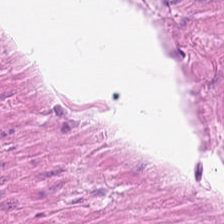H&E-stained tissue section. Q: Identify the tissue.
A: This is muscularis.
